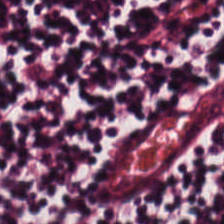Brightfield; 224×224 px patch; hematoxylin and eosin. Histology → lymphoid infiltrate.
